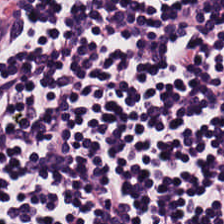20× equivalent magnification · FFPE tissue section · hematoxylin and eosin. Tissue type — lymphoid infiltrate.
